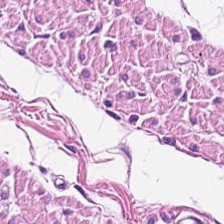The tissue is smooth-muscle tissue.
